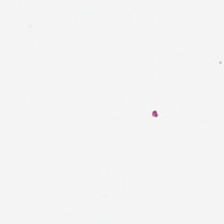20× equivalent magnification · H&E.
Classification: background.
